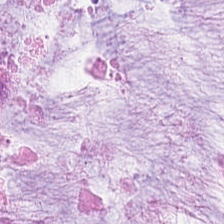H&E — mucin.
